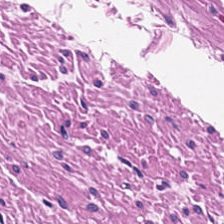FFPE tissue section. Hematoxylin and eosin. 224×224 px tile.
Tissue = muscularis.
